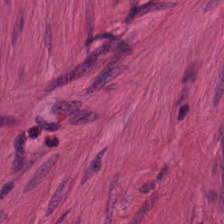Stain: hematoxylin and eosin.
Classification: smooth-muscle tissue.
